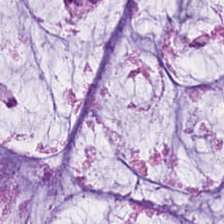Tissue class: mucin.
